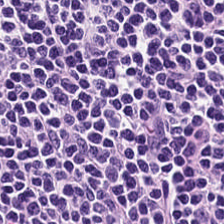Stain: hematoxylin-and-eosin stained section.
Tile size: 224×224 pixel tile.
Preparation: formalin-fixed paraffin-embedded section.
Tissue: lymphocytes.
